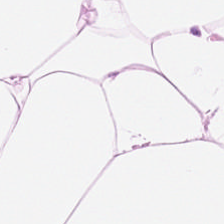0.5 microns per pixel · FFPE tissue section · hematoxylin and eosin — Classification — fat tissue.
